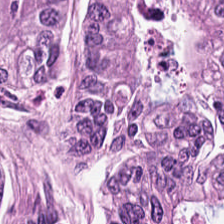H&E-stained section; the field shows colorectal adenocarcinoma.
